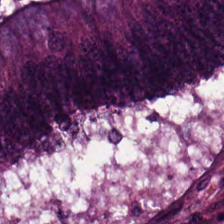Classification — adenocarcinoma.
